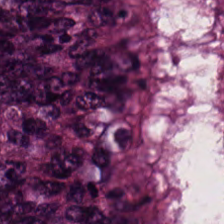Stain: H&E-stained tissue section.
Resolution: 0.5 µm per pixel.
Preparation: FFPE tissue section.
Tissue type: tumor epithelium.
